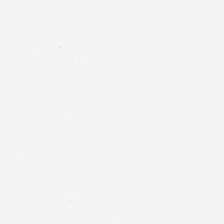Q: What is shown here?
A: It is no tissue.
